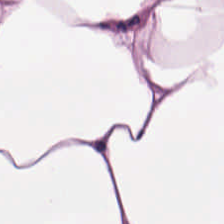Showing fat tissue.
